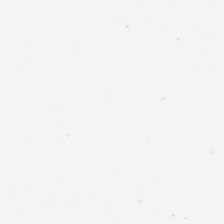Empty field — background (no tissue).
